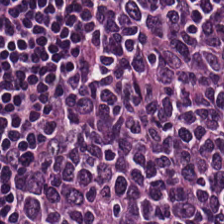224×224 px patch · hematoxylin-and-eosin stained section · WSI patch — {"tissue_type": "lymphocytes"}
